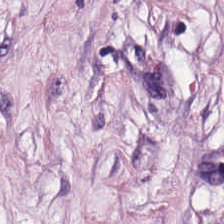H&E-stained tissue section.
The tissue type is cancer-associated stroma.
